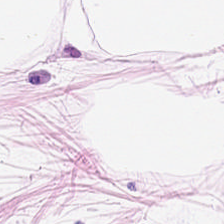FFPE · brightfield microscopy · hematoxylin and eosin — This patch shows adipose.
